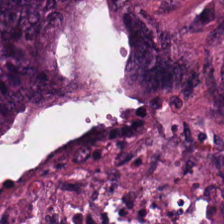Q: What is shown here?
A: Colorectal adenocarcinoma.
